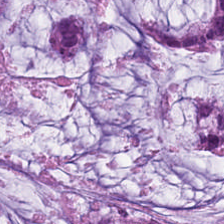Stain: hematoxylin and eosin.
Preparation: FFPE.
Tissue type: extracellular mucin.
